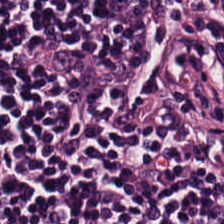Formalin-fixed paraffin-embedded section; H&E-stained tissue section. Tissue class: lymphocyte aggregate.
